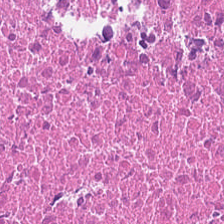224×224 px tile; hematoxylin and eosin; 20× equivalent magnification — Impression → debris.
